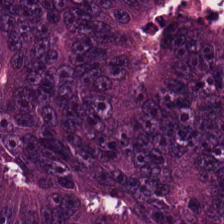Hematoxylin-and-eosin stained section.
Q: What tissue is shown?
A: The field shows adenocarcinoma.
